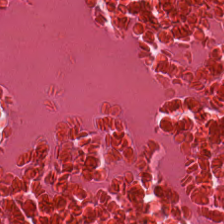Hematoxylin and eosin. The tissue here is necrotic debris.
